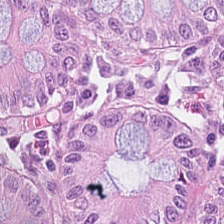Tissue = non-neoplastic colon mucosa.
